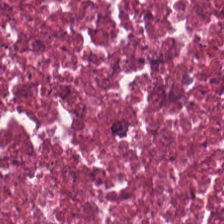Hematoxylin and eosin. Q: What is shown here?
A: This is cellular debris.
